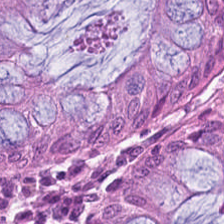Stain: H&E-stained tissue section.
Preparation: formalin-fixed paraffin-embedded section.
Predominant tissue: normal colonic mucosa.
